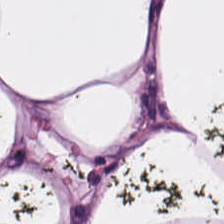Adipose tissue.
